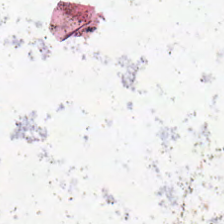Stain: hematoxylin and eosin.
Acquisition: brightfield microscopy.
Tile size: 224×224 pixel tile.
Content: no tissue.
